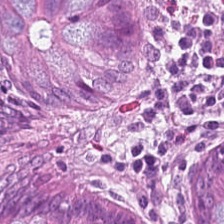H&E stain. Brightfield — Showing normal colon mucosa.
